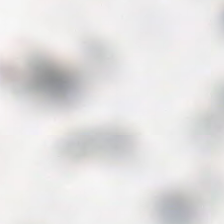Stain: H&E stain.
Tile size: 224×224 px tile.
Content: background (no tissue).
